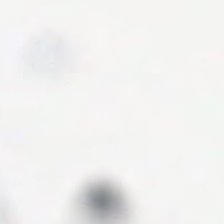Content = empty background.
